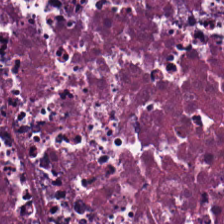H&E-stained tissue section · 224×224 px tile.
The tissue here is cellular debris.
